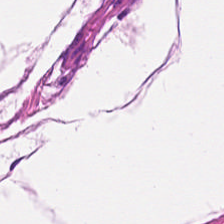H&E.
This patch shows muscularis.
